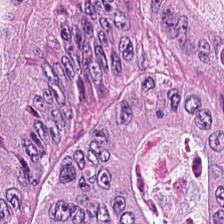H&E-stained tissue section. Q: Classify this patch.
A: It is adenocarcinoma.
